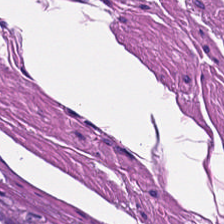WSI patch; H&E stain.
Tissue — muscularis.
